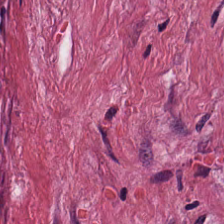Hematoxylin and eosin. 224×224 px patch.
Impression — tumor stroma.
